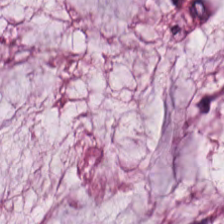Tissue class = mucus.
